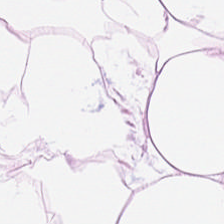H&E — Showing adipose.
